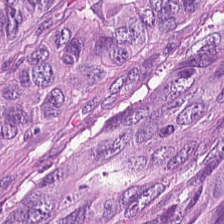H&E stain. Tissue = adenocarcinoma.
